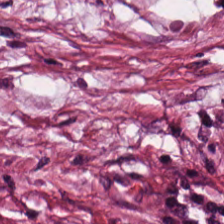Stain: H&E.
Preparation: formalin-fixed paraffin-embedded section.
Resolution: 0.5 µm/px.
Tissue type: tumor stroma.
